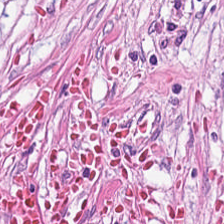Hematoxylin-and-eosin section: tumor stroma.
